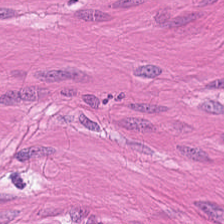224×224 pixel tile. Hematoxylin and eosin. Finding — smooth muscle.
